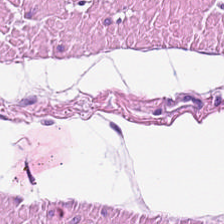Hematoxylin and eosin. Finding — smooth-muscle tissue.
